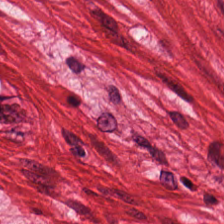WSI patch · 224×224 px patch · hematoxylin and eosin.
Finding → smooth-muscle tissue.
